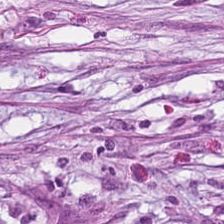Stain: hematoxylin-and-eosin stained section.
Tile size: 224×224 px patch.
Preparation: formalin-fixed paraffin-embedded section.
Tissue type: desmoplastic stroma.
